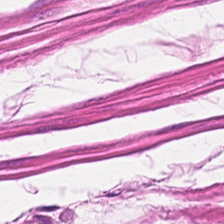0.5 microns per pixel. H&E-stained tissue section — Predominant tissue = muscularis.
